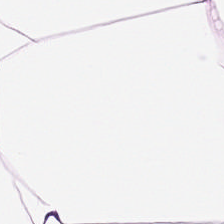Hematoxylin-and-eosin stained section. Predominantly fat tissue.
